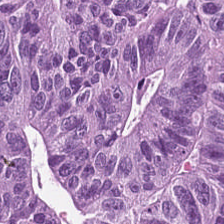Hematoxylin-and-eosin stained section — The tissue here is tumor epithelium.
